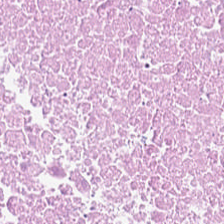224×224 pixel tile · H&E-stained tissue section — Classification — debris.
